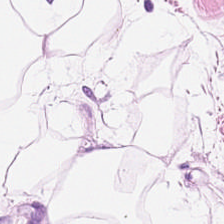H&E-stained tissue section; 224×224 px patch. The predominant tissue is adipocytes.
